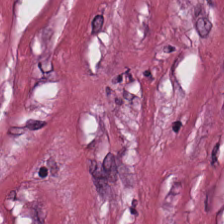Q: What tissue type is shown here?
A: This is cancer-associated stroma.
